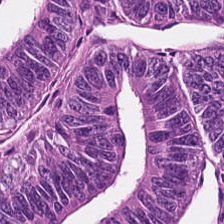Stain: H&E.
Predominant tissue: malignant epithelium.
